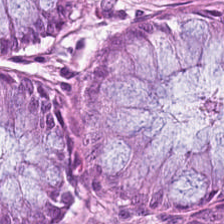Whole-slide-image patch. Hematoxylin-and-eosin stained section.
Q: What tissue is shown?
A: It is normal colon mucosa.
